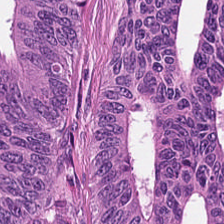Q: What is shown in this field?
A: The field shows colorectal adenocarcinoma epithelium.
